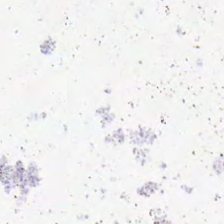H&E-stained tissue section; 224×224 px tile; brightfield. Field content: background.
